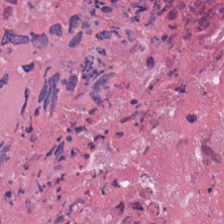224×224 pixel tile; H&E-stained tissue section.
Q: What is the predominant tissue type?
A: It is debris.
